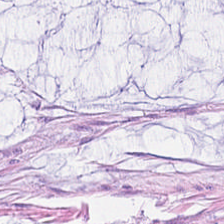0.5 microns per pixel. 224×224 px patch. Hematoxylin-and-eosin stained section — Tissue type: mucin.
